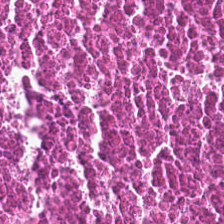Predominant tissue: necrotic debris.
